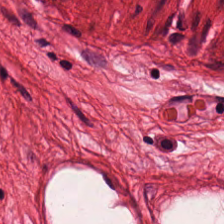Tissue = smooth-muscle tissue.
